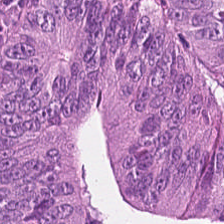224×224 px tile; hematoxylin and eosin. Finding → adenocarcinoma.
